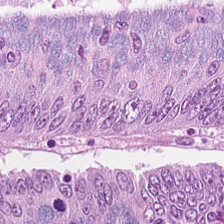Stain: H&E-stained tissue section.
Tissue type: colorectal adenocarcinoma.
